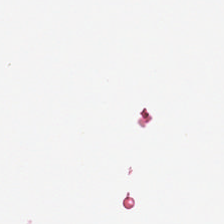Hematoxylin and eosin. Finding — background (no tissue).
